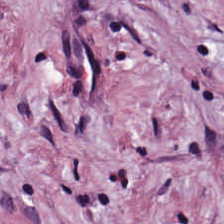H&E stain. Q: What type of tissue is this?
A: Cancer-associated stroma.
